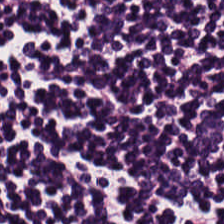H&E-stained tissue section. 0.5 µm per pixel. 224×224 px patch. {"tissue_type": "lymphocytes"}
